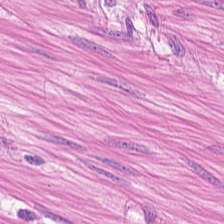H&E stain. {"tissue_type": "smooth-muscle tissue"}
